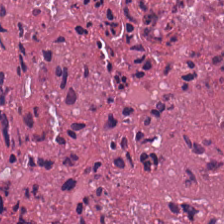Hematoxylin and eosin. The predominant tissue is debris.
